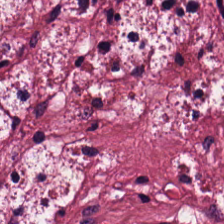H&E-stained tissue section; 224×224 px tile.
Q: What is shown here?
A: It is desmoplastic stroma.
